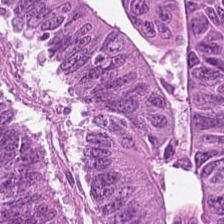Hematoxylin-and-eosin stained section.
Classification = adenocarcinoma.
